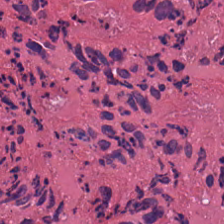H&E. Impression → necrotic debris.
